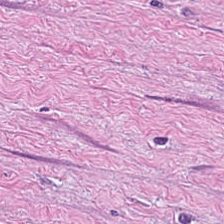H&E stain · 0.5 µm per pixel — This field is desmoplastic stroma.
